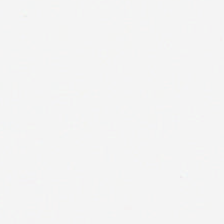Hematoxylin-and-eosin stained section. Histology — background (no tissue).
